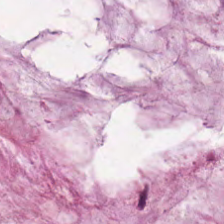H&E-stained tissue section. FFPE tissue section.
Q: What does this patch show?
A: Extracellular mucin.
